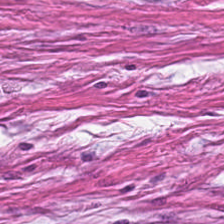Hematoxylin and eosin.
Tissue: tumor stroma.
